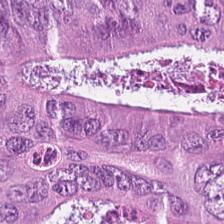Tissue class = colorectal adenocarcinoma.
